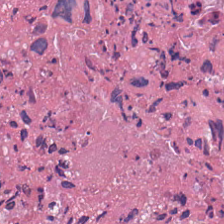H&E-stained tissue section · FFPE.
The tissue here is cellular debris.
